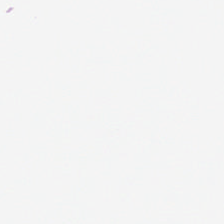Brightfield microscopy. H&E-stained tissue section.
Content: empty background.
